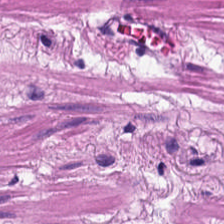Predominant tissue: smooth muscle.
